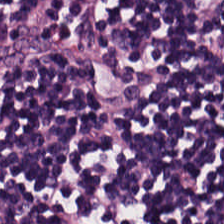Hematoxylin-and-eosin stained section.
Histology — lymphocytes.
